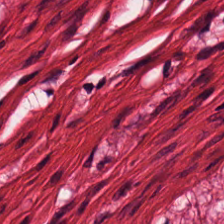Q: Classify this patch.
A: This is smooth-muscle tissue.
